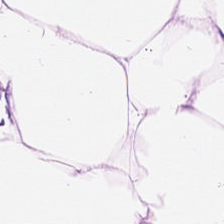Hematoxylin and eosin. 0.5 µm/px. Brightfield.
Tissue class — adipose tissue.
